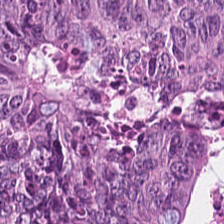Stain: H&E-stained tissue section.
Classification: tumor epithelium.
